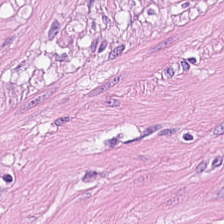Hematoxylin-and-eosin stained section. This patch shows smooth-muscle tissue.
